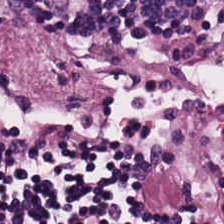WSI patch; H&E-stained tissue section — This field is lymphocytic infiltrate.
